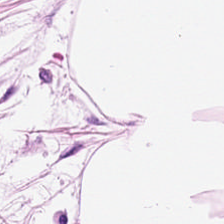Hematoxylin-and-eosin stained section. This field is adipose tissue.
